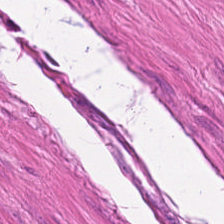0.5 microns per pixel. Hematoxylin-and-eosin stained section — The predominant tissue is smooth muscle.
